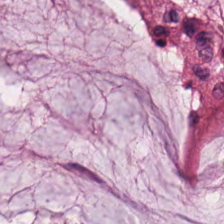Q: What is shown in this field?
A: The field shows extracellular mucin.
